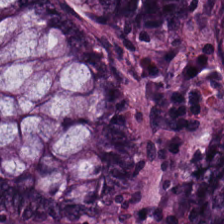H&E stain.
Tissue: normal colon mucosa.
